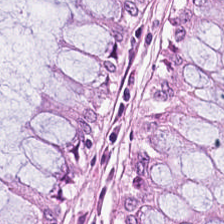Stain: H&E.
Preparation: FFPE.
Acquisition: WSI patch.
Tissue class: benign colonic mucosa.
